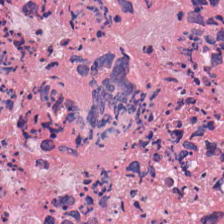H&E stain · 0.5 µm/px — Cellular debris.
